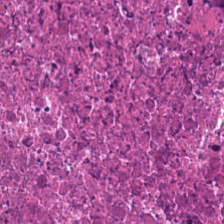The tissue here is necrotic debris.
